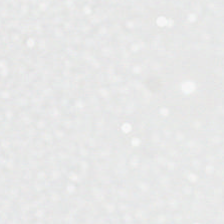H&E stain. 224×224 px patch.
Q: What is shown here?
A: It is background.
